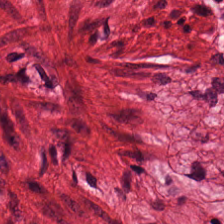The predominant tissue is smooth muscle.
